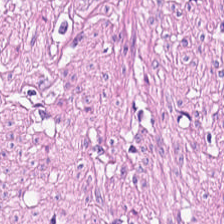Showing smooth-muscle tissue.
